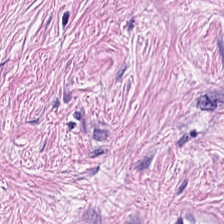H&E — Q: What is the predominant tissue type?
A: Cancer-associated stroma.
